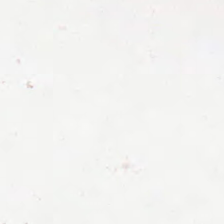H&E; 224×224 pixel tile; brightfield microscopy.
Field content — background (no tissue).
